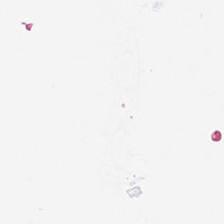H&E stain · formalin-fixed paraffin-embedded section · brightfield microscopy.
Finding → empty background.
